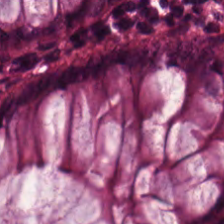Q: Classify this patch.
A: This is normal colon mucosa.
